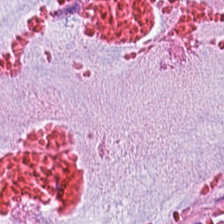The tissue here is extracellular mucin.
